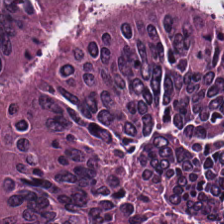Stain: hematoxylin and eosin.
Tissue class: colorectal adenocarcinoma.
